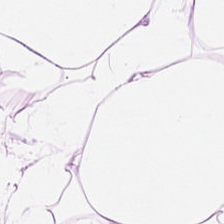H&E-stained tissue section — Q: What tissue type is shown here?
A: The field shows adipose.
